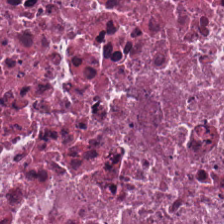H&E-stained section; the field shows cellular debris.
